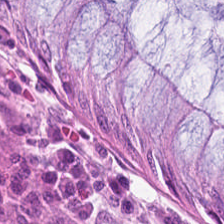Stain: hematoxylin-and-eosin stained section.
Tissue: benign colonic mucosa.
